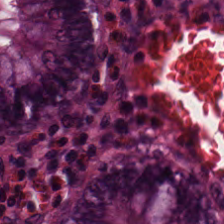Hematoxylin-and-eosin stained section.
Showing normal colonic mucosa.
